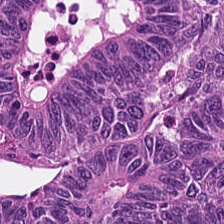Q: What type of tissue is this?
A: The field shows colorectal adenocarcinoma.
